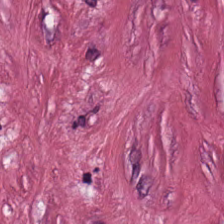Stain: hematoxylin and eosin.
Tissue type: desmoplastic stroma.
